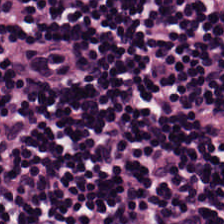0.5 microns per pixel · hematoxylin and eosin — Tissue type — lymphocytes.
